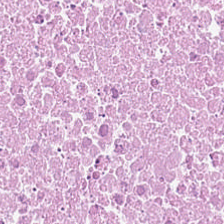H&E-stained tissue section. Q: What type of tissue is this?
A: Necrotic debris.
